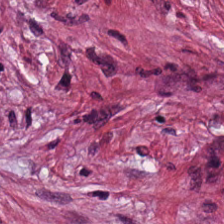H&E-stained tissue section showing tumor stroma.
